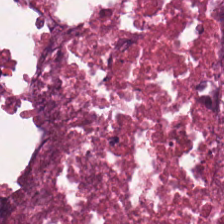H&E stain.
This patch shows debris.
